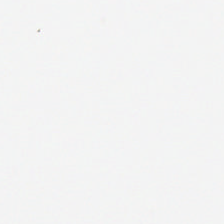H&E stain — Background — no tissue in this field.
